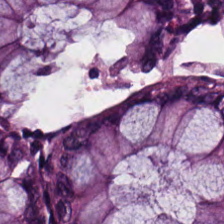Stain: H&E.
Predominant tissue: benign colonic mucosa.
